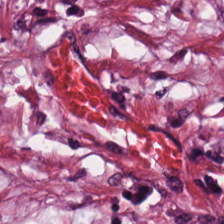H&E-stained tissue section; FFPE — This patch shows tumor stroma.
